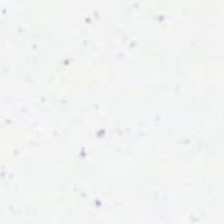20× equivalent magnification · hematoxylin and eosin.
This patch shows no tissue.
